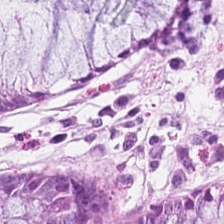H&E-stained tissue section. 224×224 px tile. Whole-slide-image patch — The classification is normal colonic mucosa.
